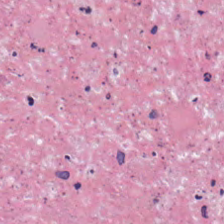Stain: H&E stain.
Tissue class: debris.
